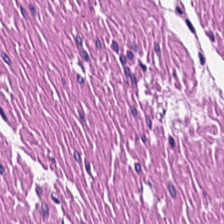Tissue class — smooth-muscle tissue.
